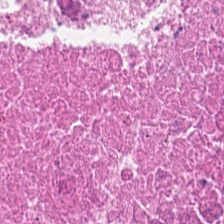Stain: H&E.
Tile size: 224×224 px tile.
Tissue: debris.
